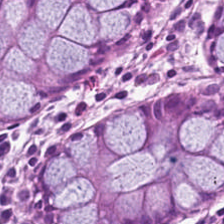This patch shows non-neoplastic colon mucosa.
